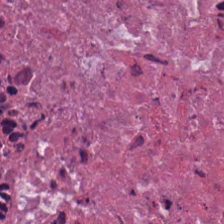H&E stain.
Showing debris.
